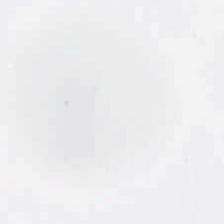Brightfield · hematoxylin-and-eosin stained section.
Field content = no tissue.
